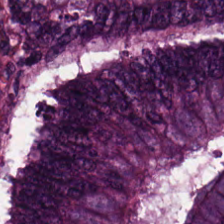Classification — malignant epithelium.
